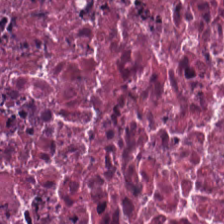20× equivalent magnification · H&E.
This patch shows necrotic debris.
